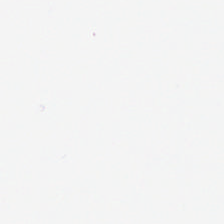224×224 px patch; hematoxylin-and-eosin stained section; FFPE tissue section. Q: What is shown in this field?
A: The field shows background (no tissue).
